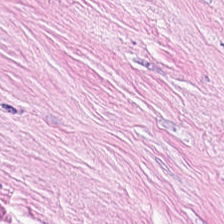Brightfield microscopy. H&E stain — Tissue: tumor-associated stroma.
